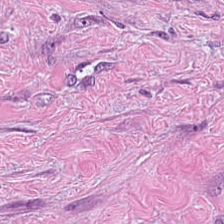Hematoxylin and eosin.
Q: What tissue is shown?
A: It is cancer-associated stroma.
